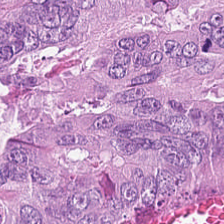Stain: hematoxylin and eosin.
Tile size: 224×224 px patch.
Tissue class: adenocarcinoma.
